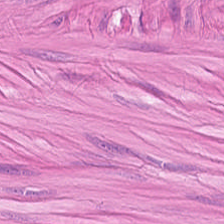Hematoxylin-and-eosin stained section.
Showing smooth-muscle tissue.
